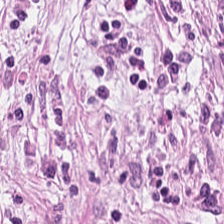Tissue class = tumor stroma.
